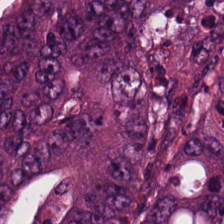H&E; WSI patch.
Tumor epithelium.
